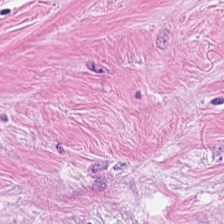Hematoxylin and eosin — Classification = cancer-associated stroma.
